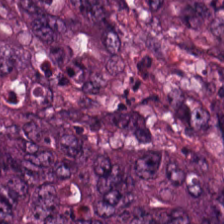H&E-stained tissue section. Q: What is shown here?
A: It is malignant epithelium.
